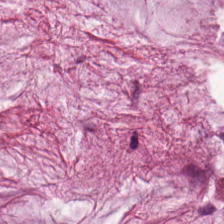Hematoxylin-and-eosin section: mucin.
